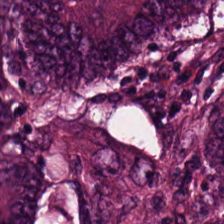Q: What tissue is shown?
A: Adenocarcinoma.
